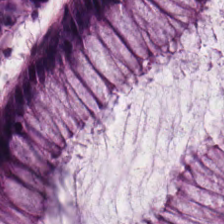224×224 pixel tile; 0.5 µm/px; H&E. Benign colonic mucosa.
